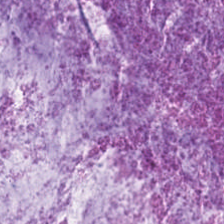Impression → mucus.
